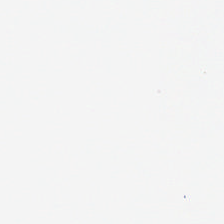0.5 microns per pixel; hematoxylin and eosin — The field content is no tissue.
